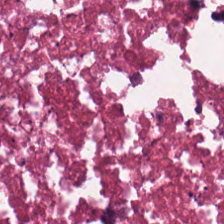H&E; 20× equivalent magnification; whole-slide-image patch.
The tissue here is necrotic debris.
